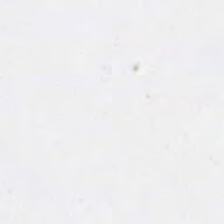0.5 µm per pixel. H&E-stained tissue section. WSI patch.
Finding → background (no tissue).
